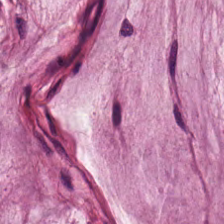Stain: hematoxylin and eosin.
Predominant tissue: mucin.
